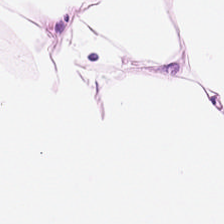H&E stain.
Fat tissue.
